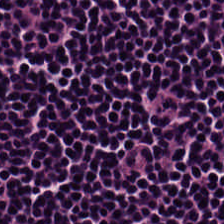H&E stain. WSI patch — The classification is lymphocyte aggregate.
